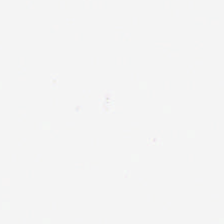Content: empty background.
